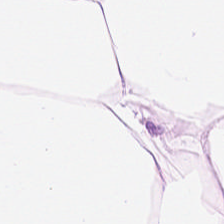Brightfield; H&E; 0.5 µm/px. Q: Identify the tissue.
A: It is adipose.
